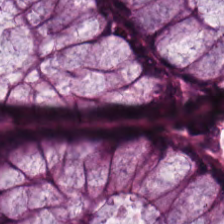Brightfield microscopy; 0.5 microns per pixel; H&E — The tissue here is benign colonic mucosa.
